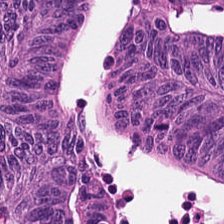0.5 µm/px · H&E stain · brightfield.
Classification — tumor epithelium.
